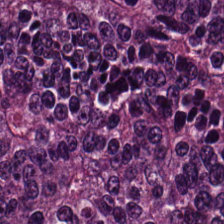{"tissue_type": "colorectal adenocarcinoma epithelium"}
